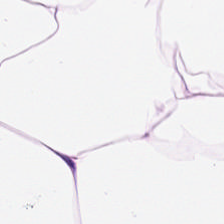The predominant tissue is adipocytes.
